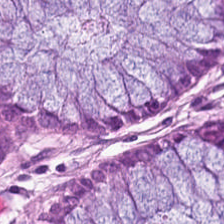Tissue — normal colon mucosa.
